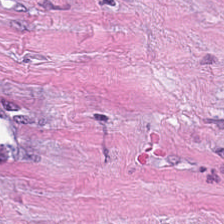H&E — tumor stroma.
